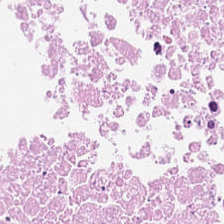H&E — necrotic debris.
